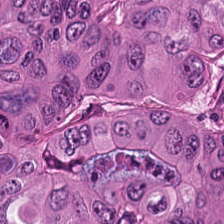Hematoxylin-and-eosin stained section.
The tissue class is colorectal adenocarcinoma.
